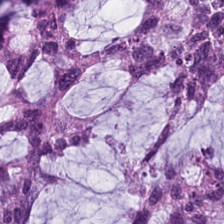0.5 microns per pixel. H&E — Tissue: extracellular mucin.
